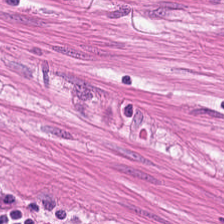Q: What is shown here?
A: This is smooth muscle.
